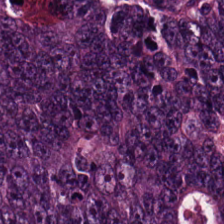Hematoxylin and eosin.
Q: What is the predominant tissue type?
A: The field shows colorectal adenocarcinoma.
